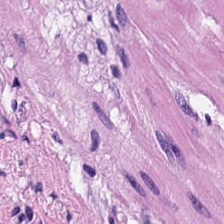This field is muscularis.
